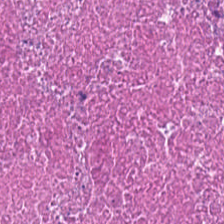H&E-stained tissue section — Tissue type: necrotic debris.
